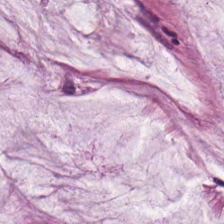H&E stain — {"tissue_type": "mucus"}
